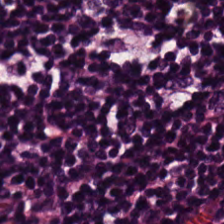H&E — Impression → lymphocytes.
